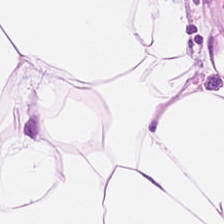Hematoxylin-and-eosin stained section · FFPE.
Q: What tissue is shown?
A: The field shows adipose tissue.
